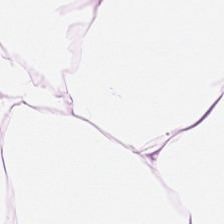H&E patch showing fat tissue.
